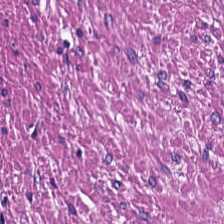224×224 pixel tile. H&E stain. WSI patch. This field is muscularis.
